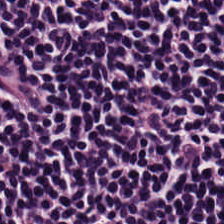Stain: hematoxylin-and-eosin stained section.
Predominant tissue: lymphoid infiltrate.
